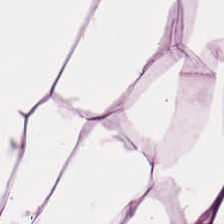Hematoxylin and eosin.
Q: What is the predominant tissue type?
A: This is fat tissue.
